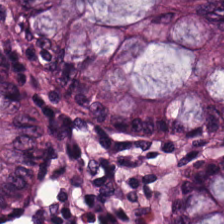Formalin-fixed paraffin-embedded section · hematoxylin and eosin · WSI patch — Q: Identify the tissue.
A: This is benign colonic mucosa.
